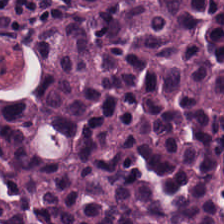Hematoxylin and eosin. Q: What type of tissue is this?
A: The field shows lymphoid infiltrate.
